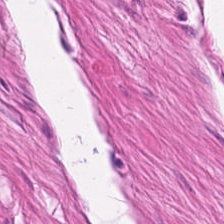224×224 px tile; FFPE tissue section; H&E stain — Predominantly smooth-muscle tissue.
